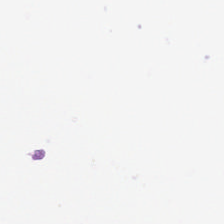FFPE; 224×224 px tile; H&E-stained tissue section. Background (no tissue).
